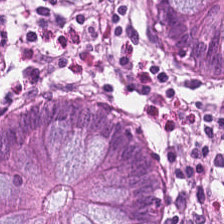Stain: H&E.
Tissue type: benign colonic mucosa.
